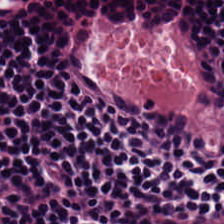Hematoxylin-and-eosin stained section. Impression → lymphocytic infiltrate.
